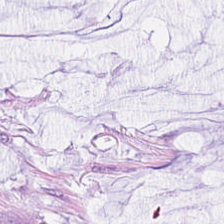Hematoxylin and eosin.
Impression — extracellular mucin.
